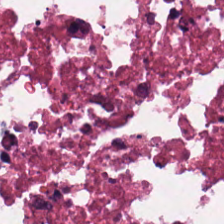H&E. This field is cellular debris.
